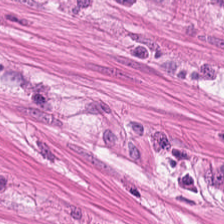Impression — muscularis.
